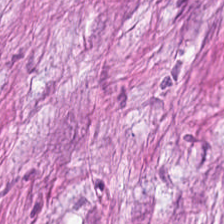H&E stain. 0.5 µm/px — Impression → desmoplastic stroma.
